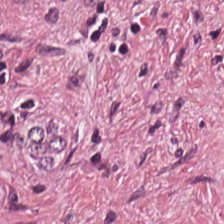H&E stain — Q: Classify this patch.
A: The field shows tumor-associated stroma.
